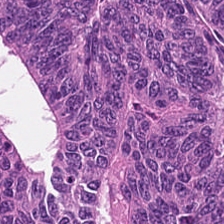0.5 µm/px. H&E — The tissue here is colorectal adenocarcinoma epithelium.
